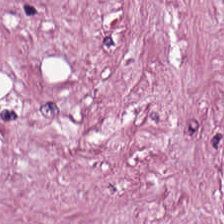H&E-stained tissue section. Predominant tissue = desmoplastic stroma.
